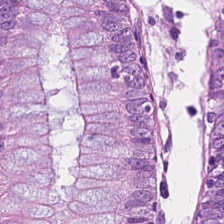Histology → benign colonic mucosa.
